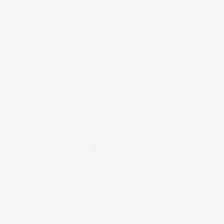H&E stain — This patch shows no tissue.
